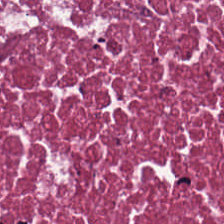H&E stain; FFPE tissue section. This patch shows necrotic debris.
